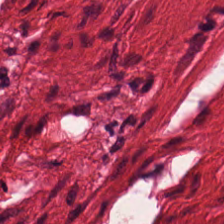Showing smooth-muscle tissue.
